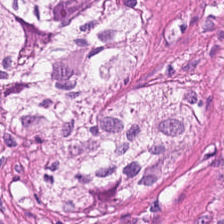H&E; 0.5 µm/px; WSI patch.
Finding → muscularis.
